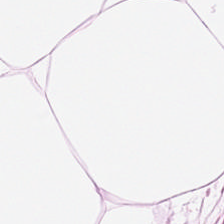224×224 px tile · FFPE tissue section · hematoxylin and eosin — Tissue type: adipose.
